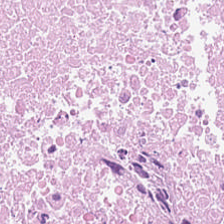H&E — {"tissue_type": "debris"}
